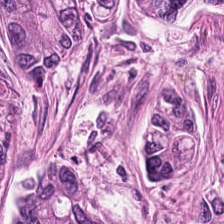H&E-stained tissue section — Q: What tissue type is shown here?
A: The field shows colorectal adenocarcinoma.
